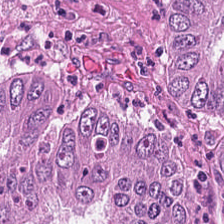Hematoxylin and eosin — The tissue class is adenocarcinoma.
